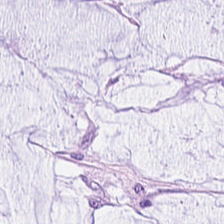Hematoxylin and eosin — The tissue here is mucus.
